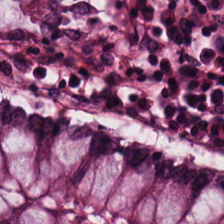Hematoxylin-and-eosin stained section. Q: What is shown in this field?
A: This is non-neoplastic colon mucosa.
